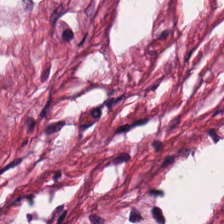Hematoxylin and eosin.
This field is desmoplastic stroma.
